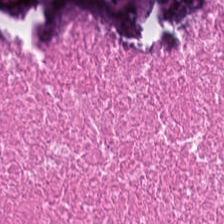Formalin-fixed paraffin-embedded section. 224×224 px tile. Hematoxylin-and-eosin stained section.
The tissue here is cellular debris.
